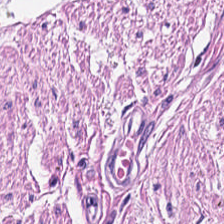Hematoxylin-and-eosin section: smooth muscle.
